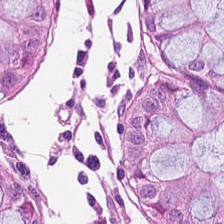WSI patch; FFPE; hematoxylin-and-eosin stained section. The tissue is normal colon mucosa.
